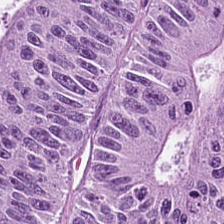Hematoxylin and eosin · whole-slide-image patch · 0.5 microns per pixel.
The tissue is colorectal adenocarcinoma epithelium.
